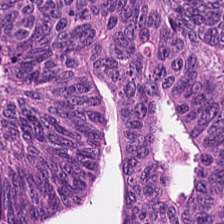Hematoxylin-and-eosin stained section. Q: What is shown here?
A: The field shows malignant epithelium.
